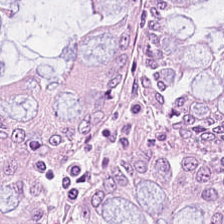Hematoxylin-and-eosin stained section. Q: Identify the tissue.
A: It is normal colon mucosa.
